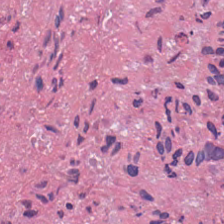Q: What does this patch show?
A: This is cellular debris.
